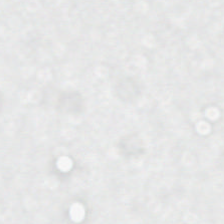Formalin-fixed paraffin-embedded section · H&E · brightfield. Background — no tissue in this field.
